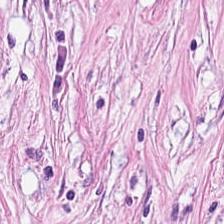H&E stain — Tissue — desmoplastic stroma.
